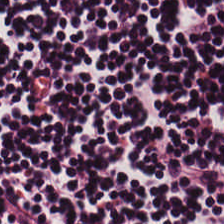Brightfield; H&E stain.
The predominant tissue is lymphocytic infiltrate.
